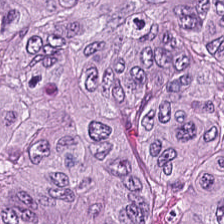The tissue type is colorectal adenocarcinoma.
